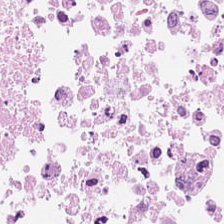Q: What does this patch show?
A: It is debris.
